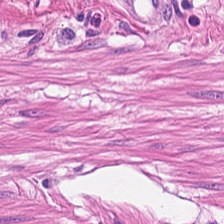224×224 pixel tile; hematoxylin-and-eosin stained section — Q: What is the predominant tissue type?
A: The field shows smooth muscle.
